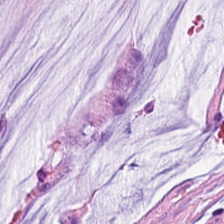Stain: H&E stain.
Predominant tissue: extracellular mucin.
